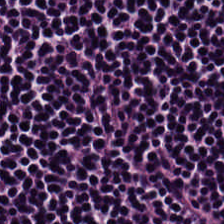H&E. Predominant tissue — lymphocytes.
